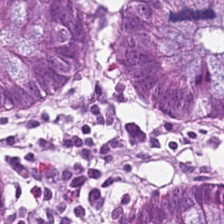Formalin-fixed paraffin-embedded section. Hematoxylin and eosin. 0.5 microns per pixel.
The tissue type is normal colonic mucosa.
